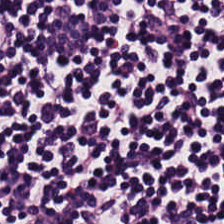The tissue here is lymphocyte aggregate.
